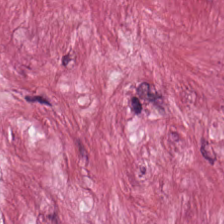224×224 pixel tile. 0.5 microns per pixel. H&E-stained tissue section. Tumor stroma.
